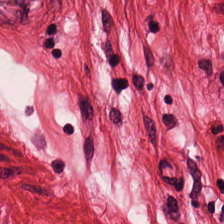Classification — smooth-muscle tissue.
